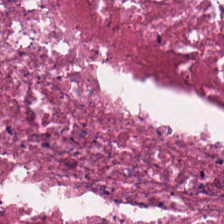Hematoxylin-and-eosin section: necrotic debris.
